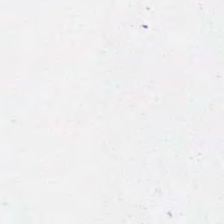224×224 px patch · H&E stain — Empty field — background.
